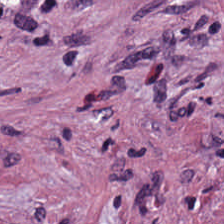The tissue is tumor-associated stroma.
